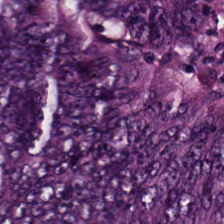0.5 µm/px · FFPE · H&E-stained tissue section.
Tissue: colorectal adenocarcinoma epithelium.
